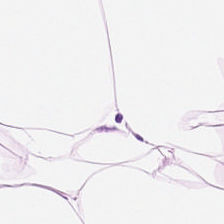Stain: H&E-stained tissue section.
Tissue: adipocytes.
